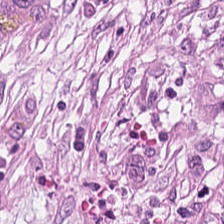224×224 px patch; H&E; brightfield — {"tissue_type": "cancer-associated stroma"}
